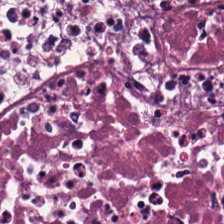{"tissue_type": "necrotic debris"}
